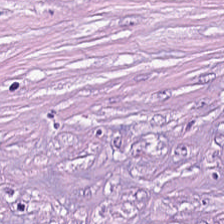H&E. Histology — desmoplastic stroma.
